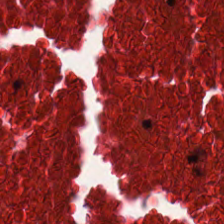Whole-slide-image patch · H&E stain.
Tissue type: necrotic debris.
